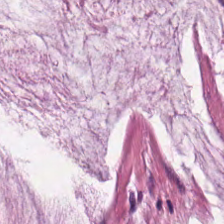Hematoxylin and eosin; FFPE tissue section. {"tissue_type": "extracellular mucin"}
